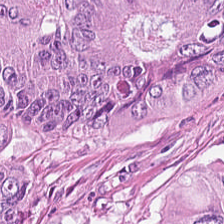H&E-stained tissue section; 20× equivalent magnification — Q: What tissue type is shown here?
A: The field shows malignant epithelium.
